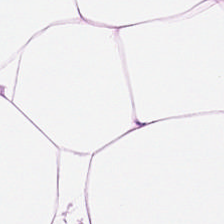Stain: H&E.
Predominant tissue: adipose tissue.
